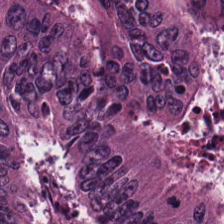H&E; 224×224 px tile. Tissue: tumor epithelium.
